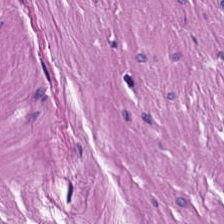H&E.
Q: What type of tissue is this?
A: This is smooth-muscle tissue.
